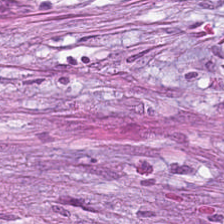224×224 pixel tile. H&E.
Histology → desmoplastic stroma.
